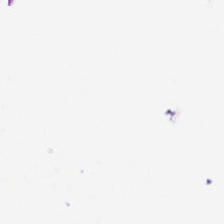H&E-stained tissue section.
Field content = background (no tissue).
